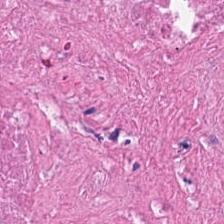H&E-stained tissue section showing necrotic debris.
